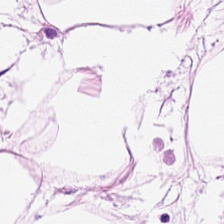H&E stain — Q: What tissue type is shown here?
A: Adipose.
